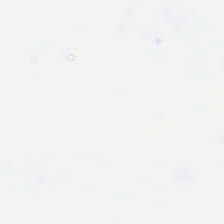Empty field — background.
